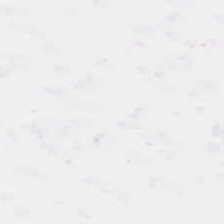Hematoxylin-and-eosin stained section.
Classification: background.
